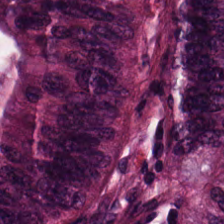Brightfield microscopy · H&E — Tissue: adenocarcinoma.
